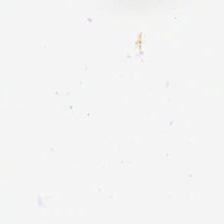Hematoxylin and eosin — Classification — background (no tissue).
